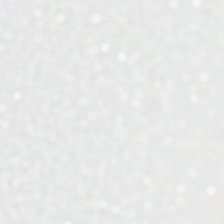Hematoxylin-and-eosin stained section. 224×224 px patch.
The field content is no tissue.
